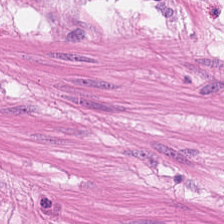H&E-stained tissue section. Tissue: smooth-muscle tissue.
